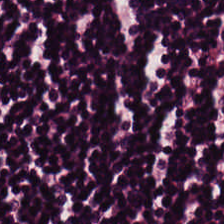Tissue type: lymphocytic infiltrate.
